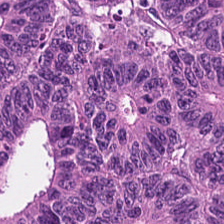FFPE tissue section. 224×224 px patch. Hematoxylin and eosin.
Classification — colorectal adenocarcinoma.
